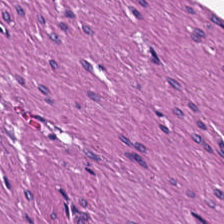H&E stain. Q: What type of tissue is this?
A: The field shows muscularis.
